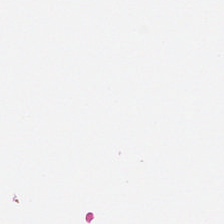Field content = background (no tissue).
